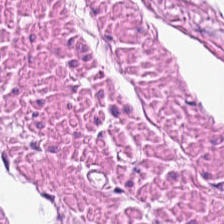Hematoxylin-and-eosin stained section; 0.5 µm per pixel. Showing smooth-muscle tissue.
